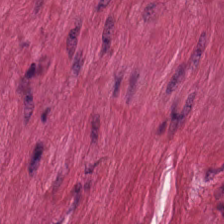Smooth-muscle tissue.
